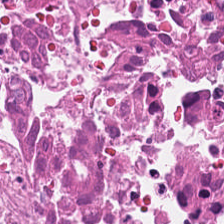The predominant tissue is debris.
